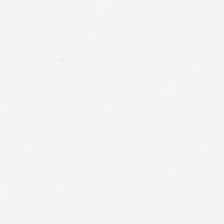H&E.
The classification is background.
